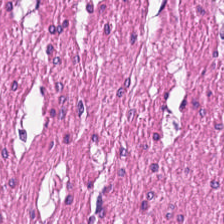Hematoxylin and eosin.
Impression — muscularis.
